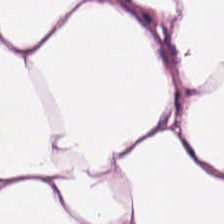224×224 px tile · FFPE · hematoxylin-and-eosin stained section — The predominant tissue is adipose.
